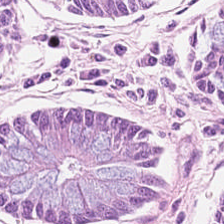Hematoxylin-and-eosin stained section. Q: What type of tissue is this?
A: This is normal colonic mucosa.
